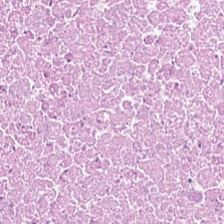H&E stain · 224×224 px patch.
Q: Classify this patch.
A: Necrotic debris.
